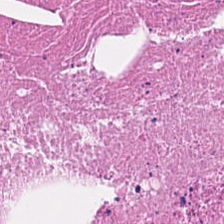H&E — This patch shows necrotic debris.
